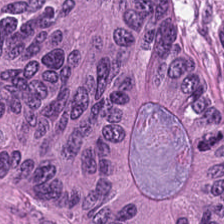H&E stain. FFPE tissue section. Brightfield.
Predominantly tumor epithelium.
